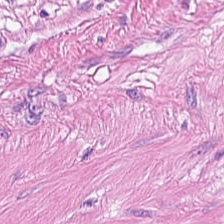WSI patch; H&E stain — This field is smooth muscle.
